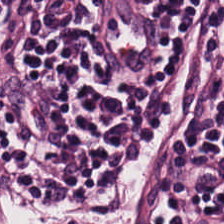H&E. Impression → lymphoid infiltrate.
